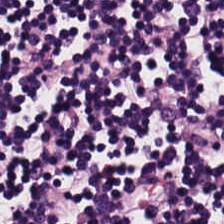H&E. This field is lymphocytic infiltrate.
